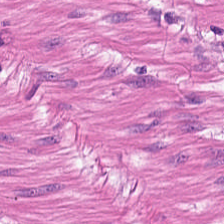H&E-stained tissue section — Predominantly muscularis.
